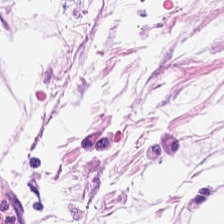Hematoxylin-and-eosin stained section.
This patch shows fat tissue.
